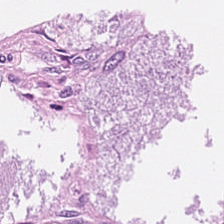Hematoxylin-and-eosin stained section; whole-slide-image patch.
Showing tumor epithelium.
